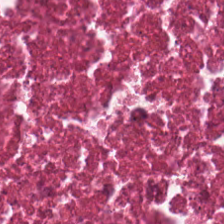224×224 pixel tile. Hematoxylin-and-eosin stained section. Brightfield — Q: Identify the tissue.
A: The field shows necrotic debris.
